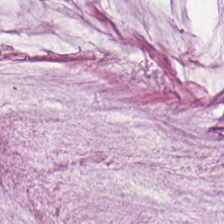H&E; brightfield; formalin-fixed paraffin-embedded section — This patch shows mucin.
